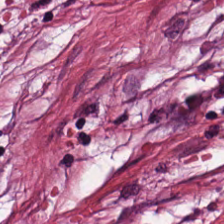Q: What is shown in this field?
A: It is desmoplastic stroma.
